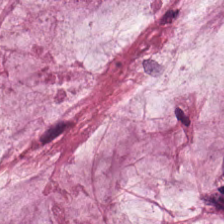Q: Identify the tissue.
A: It is mucin.
